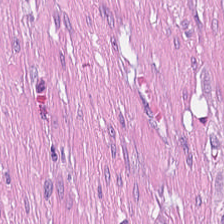H&E-stained tissue section. Tissue = desmoplastic stroma.
